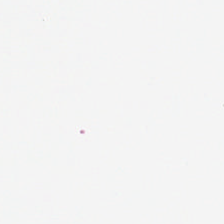Background — no tissue in this field.
